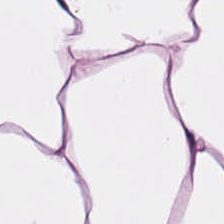Hematoxylin and eosin — This patch shows adipose tissue.
